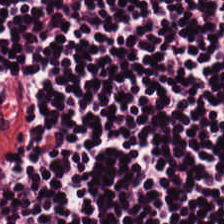H&E stain. WSI patch. Lymphoid infiltrate.
